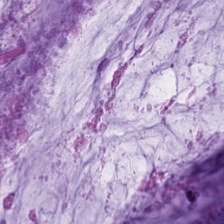FFPE tissue section. Hematoxylin and eosin.
The tissue here is mucus.
